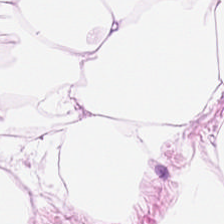Hematoxylin-and-eosin stained section — Showing adipose.
